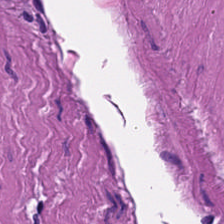224×224 px tile. H&E-stained tissue section. Formalin-fixed paraffin-embedded section.
This field is smooth-muscle tissue.
